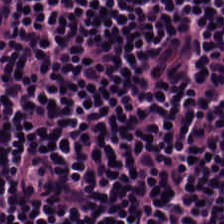Hematoxylin and eosin.
This field is lymphocytes.
